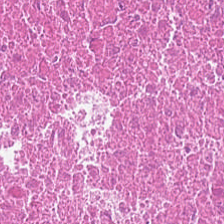H&E. Predominantly debris.
